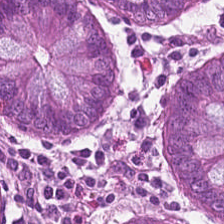H&E stain. FFPE. 224×224 pixel tile.
Impression — normal colon mucosa.
